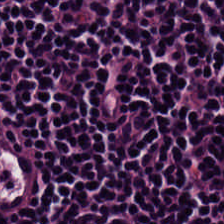H&E-stained tissue section; WSI patch — The predominant tissue is lymphocyte aggregate.
